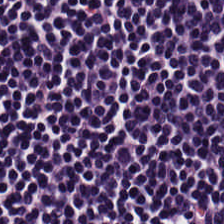224×224 px patch · H&E stain — Predominantly lymphocytes.
